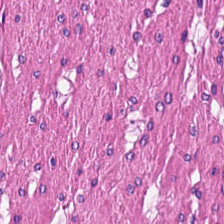Brightfield; hematoxylin and eosin — Predominant tissue — muscularis.
